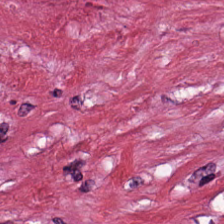H&E.
Predominantly cancer-associated stroma.
